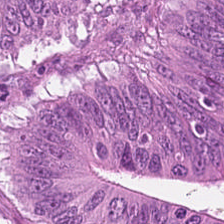Stain: hematoxylin-and-eosin stained section.
Classification: malignant epithelium.
